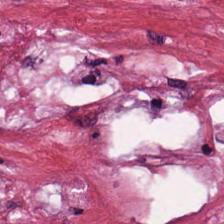FFPE. H&E — Q: What tissue is shown?
A: It is desmoplastic stroma.
